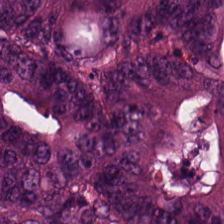Stain: H&E-stained tissue section.
Predominant tissue: colorectal adenocarcinoma.
